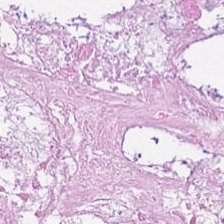H&E-stained tissue section — This patch shows debris.
